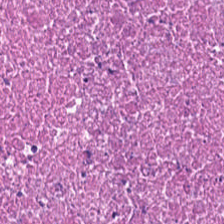0.5 µm per pixel · H&E-stained tissue section · FFPE tissue section. Tissue class = necrotic debris.
